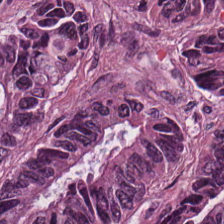Hematoxylin-and-eosin stained section. 224×224 px patch. 20× equivalent magnification — Finding — colorectal adenocarcinoma.
